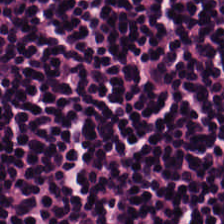H&E; 224×224 pixel tile.
Predominantly lymphocyte aggregate.
